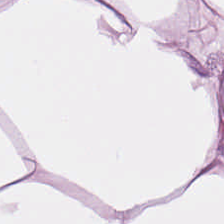H&E-stained tissue section — Tissue type = adipose.
